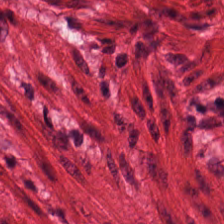H&E. Q: What type of tissue is this?
A: It is smooth muscle.
